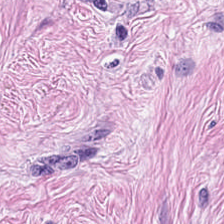Hematoxylin-and-eosin stained section. Classification = tumor-associated stroma.
